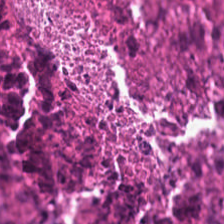Tissue type = necrotic debris.
